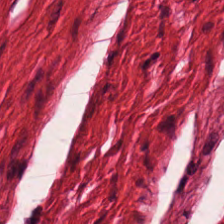Histology → muscularis.
